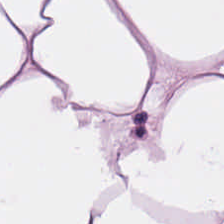Predominant tissue — adipocytes.
